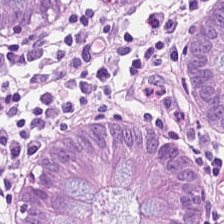Hematoxylin-and-eosin stained section. 20× equivalent magnification.
Non-neoplastic colon mucosa.
